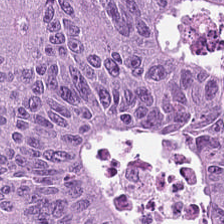224×224 px patch. Hematoxylin-and-eosin stained section. The predominant tissue is colorectal adenocarcinoma.
